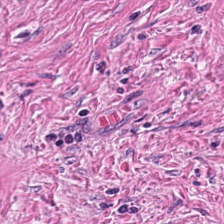Hematoxylin-and-eosin stained section; 224×224 pixel tile.
Cancer-associated stroma.
